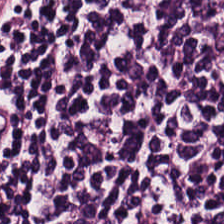Hematoxylin-and-eosin stained section.
Lymphoid infiltrate.
